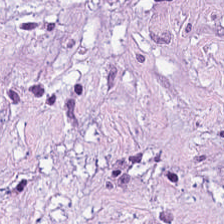The predominant tissue is tumor stroma.
